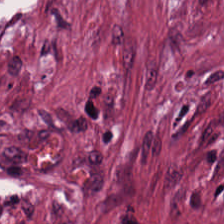H&E-stained tissue section · 0.5 microns per pixel · 224×224 px tile. This patch shows cancer-associated stroma.
